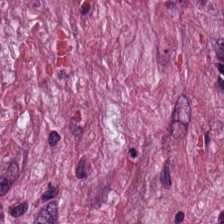Q: Classify this patch.
A: The field shows desmoplastic stroma.
